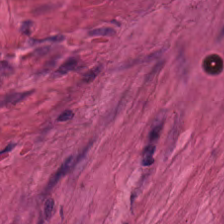{"tissue_type": "smooth muscle"}
